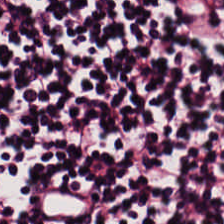Hematoxylin and eosin — Finding — lymphoid infiltrate.
